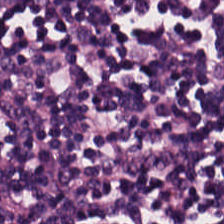H&E patch showing lymphocytic infiltrate.
